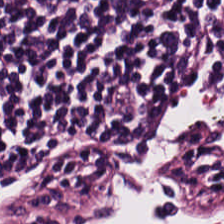H&E-stained tissue section; brightfield microscopy.
The tissue here is lymphocytes.
